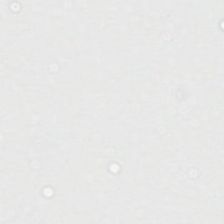Hematoxylin-and-eosin stained section — The field content is no tissue.
